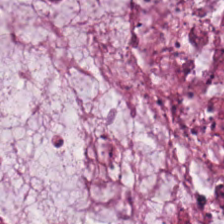H&E. Brightfield microscopy. The predominant tissue is mucus.
